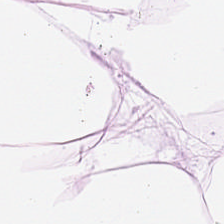H&E-stained tissue section — {"tissue_type": "adipose tissue"}
